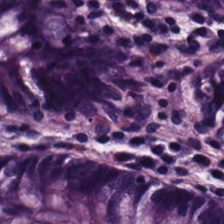Brightfield · H&E.
Showing non-neoplastic colon mucosa.
